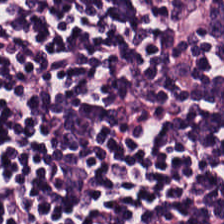Hematoxylin-and-eosin stained section. The tissue here is lymphocytes.
